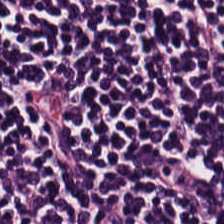Showing lymphocytes.
